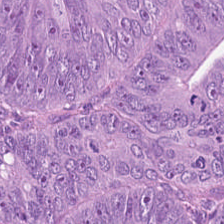Formalin-fixed paraffin-embedded section; hematoxylin and eosin; 224×224 px patch — The tissue here is adenocarcinoma.
